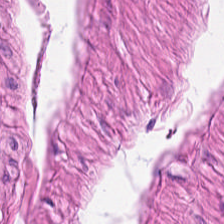H&E.
Showing muscularis.
